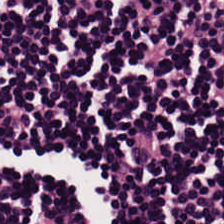H&E stain.
The predominant tissue is lymphocytic infiltrate.
